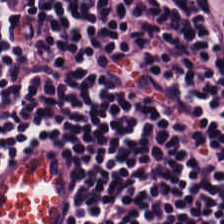Hematoxylin-and-eosin stained section — The tissue here is lymphocytic infiltrate.
